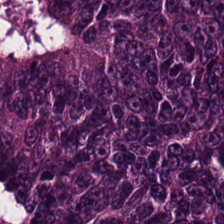FFPE. Hematoxylin-and-eosin stained section.
This field is tumor epithelium.
